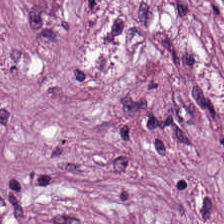224×224 px tile; H&E stain — This patch shows tumor stroma.
